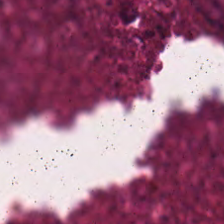The tissue is debris.
